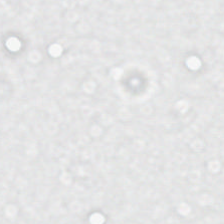Empty background.
